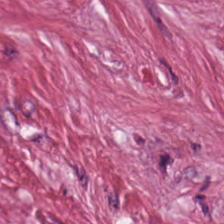0.5 µm/px. H&E. The tissue here is tumor-associated stroma.
